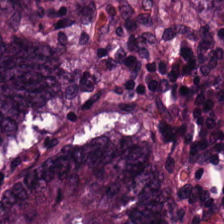Stain: hematoxylin and eosin.
Tissue: tumor epithelium.
